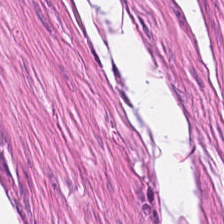Stain: hematoxylin-and-eosin stained section.
Predominant tissue: smooth-muscle tissue.
